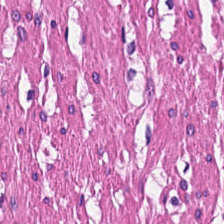Brightfield microscopy · hematoxylin and eosin. The tissue here is smooth muscle.
